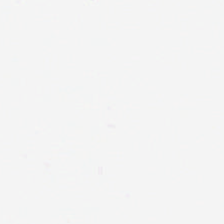Finding → no tissue.
